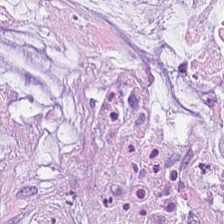Hematoxylin-and-eosin stained section · 224×224 px patch.
Q: What is shown in this field?
A: It is extracellular mucin.
